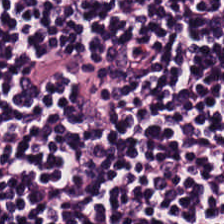224×224 pixel tile. H&E stain — Predominant tissue — lymphocytes.
